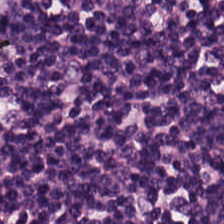Hematoxylin-and-eosin stained section.
Impression → lymphocyte aggregate.
